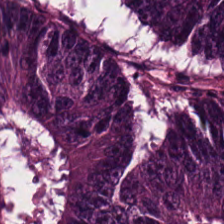Q: What does this patch show?
A: The field shows colorectal adenocarcinoma epithelium.
